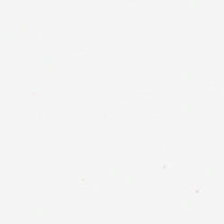224×224 px tile · H&E. {"content": "background"}
